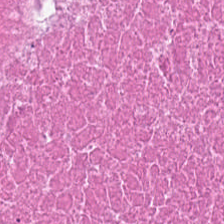Hematoxylin and eosin · 224×224 pixel tile — The tissue here is necrotic debris.
